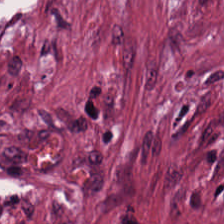H&E · 20× equivalent magnification. The predominant tissue is desmoplastic stroma.
